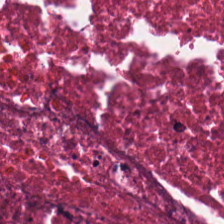H&E stain.
Q: What is shown here?
A: It is necrotic debris.
